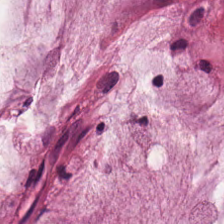H&E-stained tissue section. 0.5 µm/px — {"tissue_type": "extracellular mucin"}
